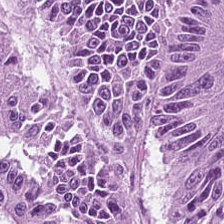Brightfield. H&E stain — Q: What is the predominant tissue type?
A: This is colorectal adenocarcinoma.
